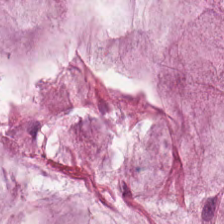224×224 px tile. H&E-stained tissue section. WSI patch — Tissue class — mucus.
